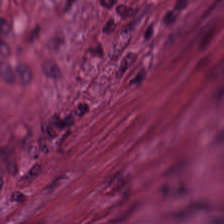H&E. Whole-slide-image patch — Predominant tissue — desmoplastic stroma.
